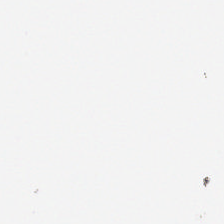FFPE · hematoxylin-and-eosin stained section · whole-slide-image patch.
This field is background (no tissue).
